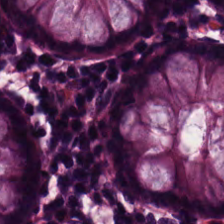Showing normal colon mucosa.
